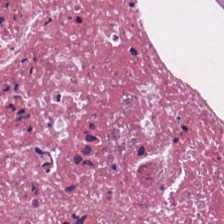Stain: H&E-stained tissue section.
Predominant tissue: debris.
